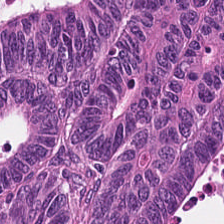Hematoxylin and eosin.
The predominant tissue is colorectal adenocarcinoma.
